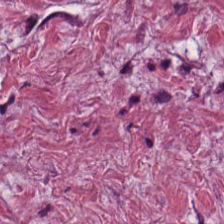WSI patch. 224×224 px patch. H&E. Showing tumor-associated stroma.
